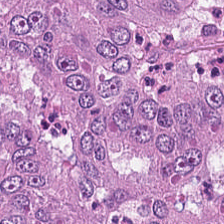H&E-stained tissue section.
The tissue here is colorectal adenocarcinoma.
